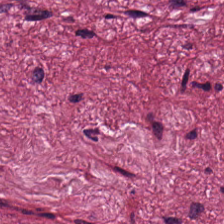H&E-stained tissue section; FFPE. This patch shows desmoplastic stroma.
